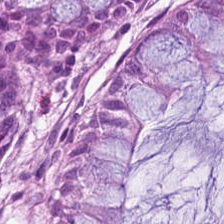224×224 px tile; hematoxylin and eosin — Finding — non-neoplastic colon mucosa.
